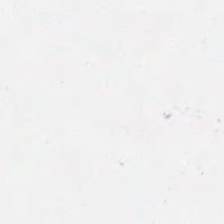Hematoxylin-and-eosin stained section. Empty background.
